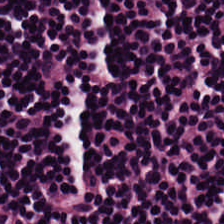H&E-stained tissue section.
Q: What is the predominant tissue type?
A: This is lymphocytes.
